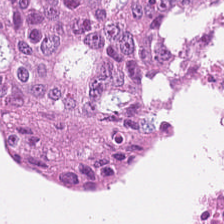H&E-stained tissue section.
Histology — necrotic debris.
